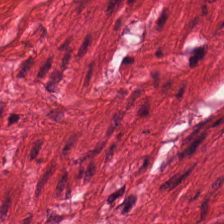The tissue class is muscularis.
